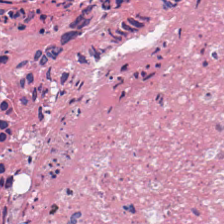Stain: H&E-stained tissue section.
Tissue: necrotic debris.
